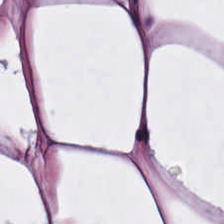224×224 px tile; H&E stain.
Histology — fat tissue.
